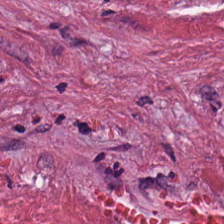Q: Identify the tissue.
A: It is tumor-associated stroma.
